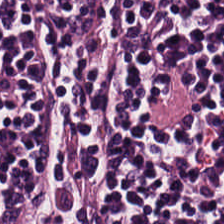Predominantly lymphocyte aggregate.
